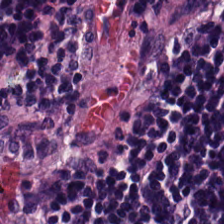Classification — lymphocytic infiltrate.
